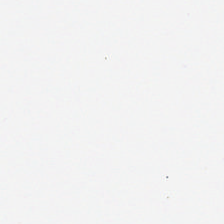H&E — No tissue present; background only.
